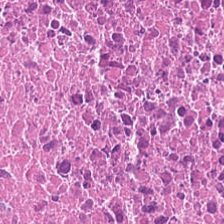FFPE tissue section · 0.5 microns per pixel · hematoxylin-and-eosin stained section. This patch shows necrotic debris.
